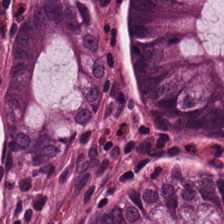Hematoxylin-and-eosin stained section. Q: What tissue is shown?
A: This is benign colonic mucosa.
